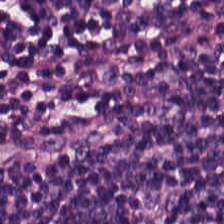Q: Classify this patch.
A: This is lymphocyte aggregate.
